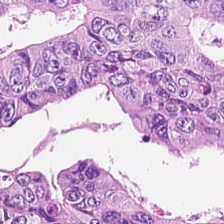H&E · 20× equivalent magnification · brightfield microscopy. The tissue type is malignant epithelium.
